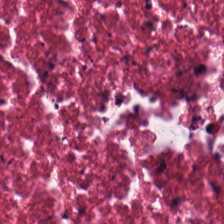H&E stain. Tissue class: cellular debris.
